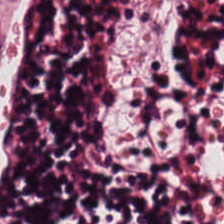H&E stain — Q: What is shown in this field?
A: This is lymphocytes.
